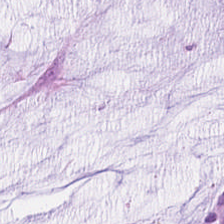Tissue class: extracellular mucin.
